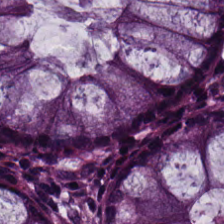H&E — Q: Classify this patch.
A: Non-neoplastic colon mucosa.
